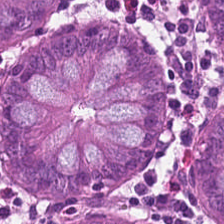224×224 pixel tile; formalin-fixed paraffin-embedded section; H&E.
Tissue = normal colonic mucosa.
